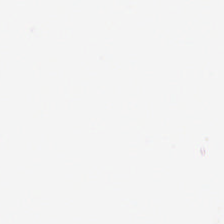H&E · 0.5 µm per pixel.
The field content is empty background.
